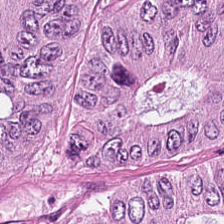H&E stain — {"tissue_type": "malignant epithelium"}
